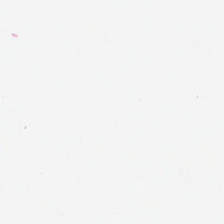Hematoxylin and eosin — Field content — no tissue.
